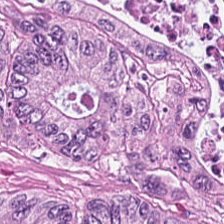Hematoxylin and eosin — Classification = malignant epithelium.
